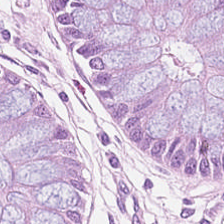Hematoxylin and eosin.
Q: What is the predominant tissue type?
A: The field shows normal colon mucosa.
